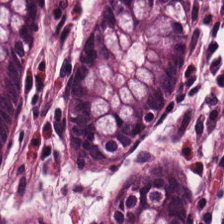WSI patch · H&E-stained tissue section. This field is normal colonic mucosa.
